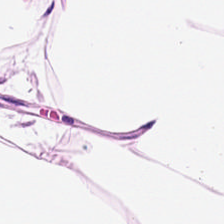Hematoxylin and eosin.
Q: Classify this patch.
A: It is fat tissue.
